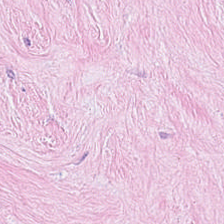H&E.
Q: What tissue is shown?
A: This is tumor stroma.
